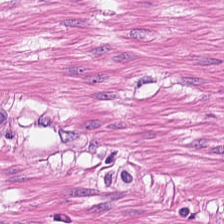H&E-stained tissue section. Tissue = smooth muscle.
